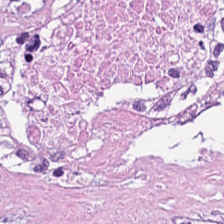Hematoxylin and eosin.
Q: What is shown here?
A: It is necrotic debris.
